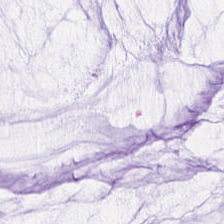Q: Identify the tissue.
A: The field shows extracellular mucin.
